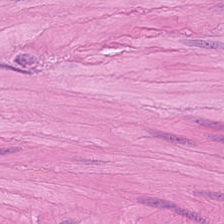Formalin-fixed paraffin-embedded section. H&E stain. Predominantly muscularis.
